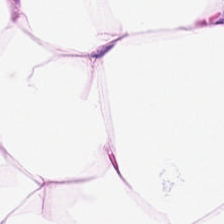Hematoxylin and eosin.
Q: What does this patch show?
A: Adipose tissue.
